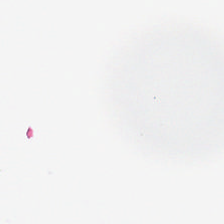Hematoxylin-and-eosin stained section. 0.5 µm/px. Formalin-fixed paraffin-embedded section — Content — empty background.
